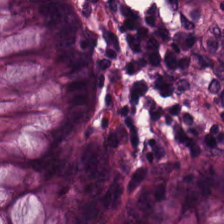0.5 microns per pixel; H&E stain. The predominant tissue is non-neoplastic colon mucosa.
